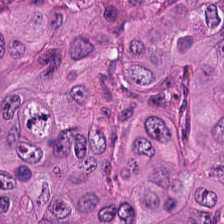224×224 pixel tile. H&E stain. Q: What tissue is shown?
A: It is colorectal adenocarcinoma epithelium.
